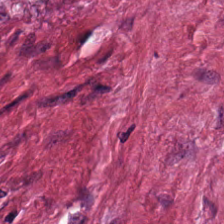Stain: H&E-stained tissue section.
Preparation: FFPE tissue section.
Tissue class: desmoplastic stroma.
